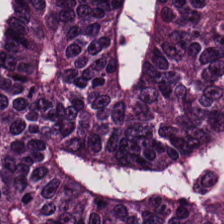Hematoxylin-and-eosin stained section — This field is adenocarcinoma.
